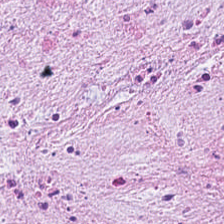Hematoxylin and eosin. Cancer-associated stroma.
